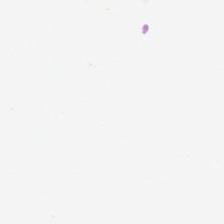H&E stain — No tissue present; background only.
